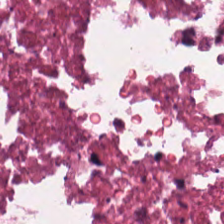Stain: hematoxylin and eosin.
Resolution: 0.5 microns per pixel.
Preparation: FFPE tissue section.
Tissue: cellular debris.
